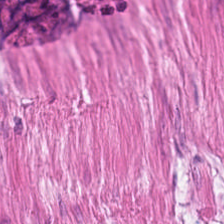This field is smooth muscle.
